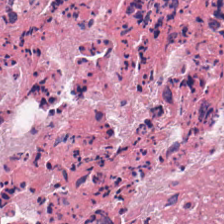H&E stain.
Tissue — necrotic debris.
